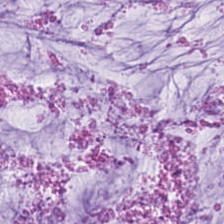Whole-slide-image patch. FFPE tissue section. H&E-stained tissue section. This field is mucin.
